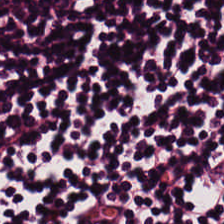H&E-stained tissue section.
Lymphocytes.
